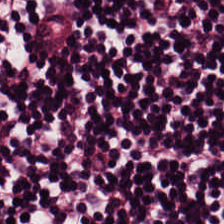FFPE · hematoxylin-and-eosin stained section · WSI patch. Tissue = lymphocyte aggregate.
